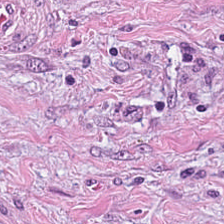Hematoxylin-and-eosin stained section — This field is cancer-associated stroma.
